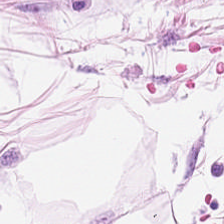Hematoxylin-and-eosin stained section · 0.5 microns per pixel — Histology — adipocytes.
